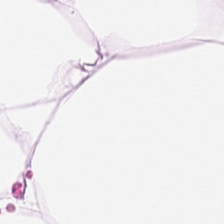H&E-stained section; the field shows adipose tissue.
